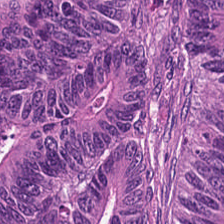H&E. 224×224 pixel tile. Impression → colorectal adenocarcinoma epithelium.
